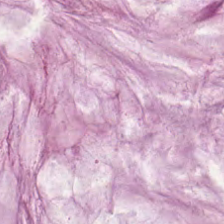Brightfield microscopy; hematoxylin-and-eosin stained section; 224×224 px tile — Tissue class: extracellular mucin.
